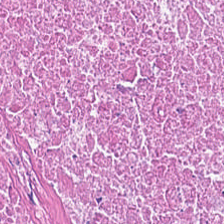H&E-stained tissue section. Predominant tissue: necrotic debris.
